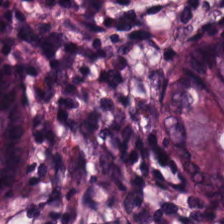Hematoxylin-and-eosin stained section · 224×224 px patch. Predominantly non-neoplastic colon mucosa.
